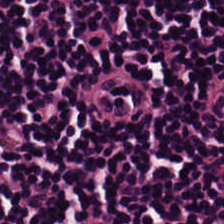Q: What tissue type is shown here?
A: Lymphoid infiltrate.
